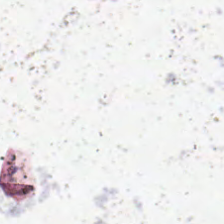0.5 microns per pixel · FFPE tissue section · H&E stain — This patch shows empty background.
